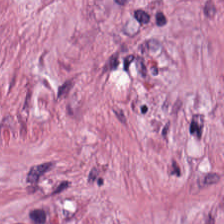H&E. Tissue type = tumor stroma.
